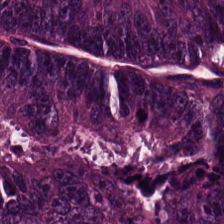H&E stain — Q: What tissue is shown?
A: The field shows colorectal adenocarcinoma epithelium.
